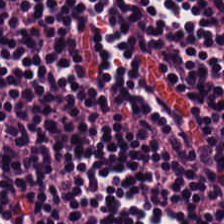The tissue class is lymphocytic infiltrate.
